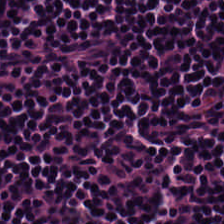H&E — lymphoid infiltrate.
